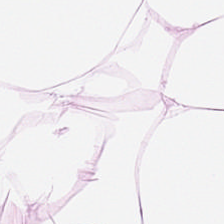WSI patch · H&E stain — This field is adipose.
